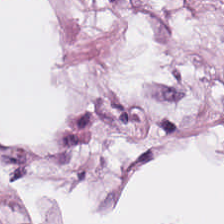224×224 px tile. Formalin-fixed paraffin-embedded section. H&E stain. Classification: adipose tissue.
